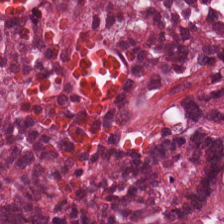224×224 px tile; WSI patch; H&E stain.
Impression → cellular debris.
